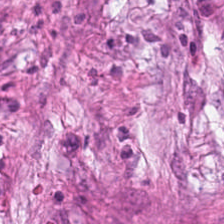H&E. Tissue class: tumor-associated stroma.
